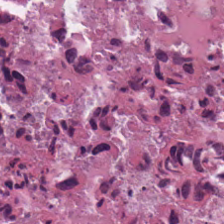Tissue type — necrotic debris.
